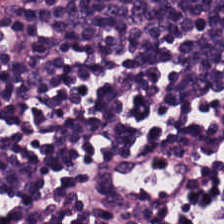The tissue here is lymphoid infiltrate.
